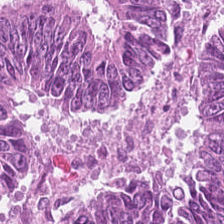0.5 µm/px. Hematoxylin and eosin. Formalin-fixed paraffin-embedded section. Predominantly malignant epithelium.
